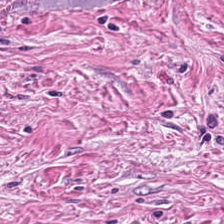H&E — tumor-associated stroma.
